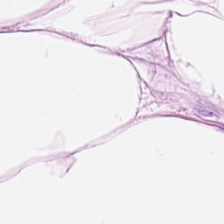Classification — fat tissue.
